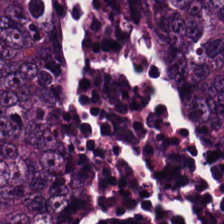Q: What does this patch show?
A: It is colorectal adenocarcinoma.
